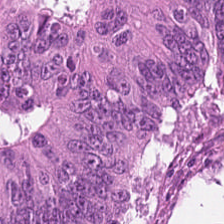Formalin-fixed paraffin-embedded section; H&E-stained tissue section.
The tissue type is adenocarcinoma.
